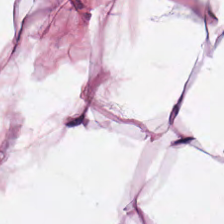Hematoxylin-and-eosin stained section — Histology — fat tissue.
